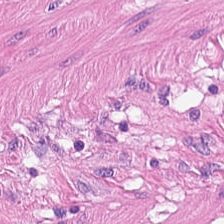H&E-stained tissue section. Classification = smooth muscle.
